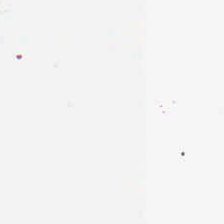Formalin-fixed paraffin-embedded section. WSI patch. H&E-stained tissue section. No tissue present; background only.
